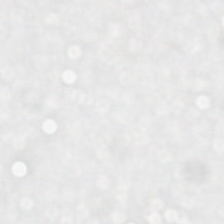Hematoxylin-and-eosin stained section.
This field is background (no tissue).
